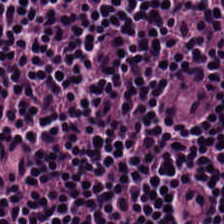H&E-stained tissue section showing lymphoid infiltrate.
